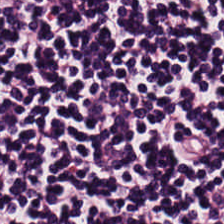Hematoxylin-and-eosin stained section. Classification — lymphoid infiltrate.
